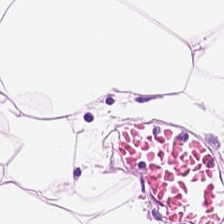H&E patch showing fat tissue.
